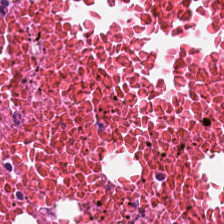H&E — Predominantly debris.
